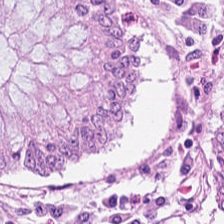H&E stain — Predominant tissue = normal colonic mucosa.
